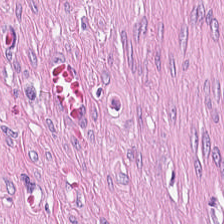H&E-stained tissue section — This patch shows tumor stroma.
